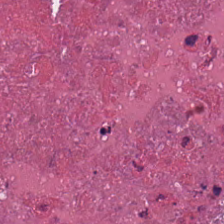This patch shows debris.
